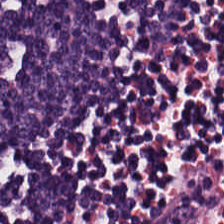Lymphocytic infiltrate.
